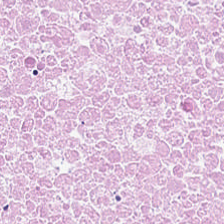0.5 µm/px · H&E stain. The tissue here is necrotic debris.
